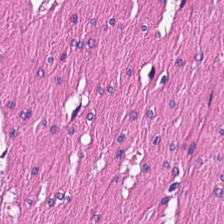FFPE tissue section · H&E-stained tissue section. The tissue type is smooth-muscle tissue.
